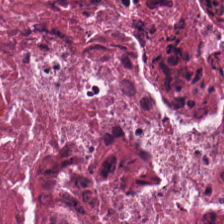The predominant tissue is necrotic debris.
